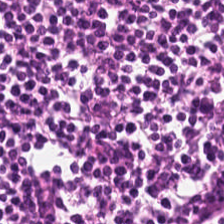H&E · FFPE tissue section · 224×224 px patch — {"tissue_type": "lymphocytes"}
